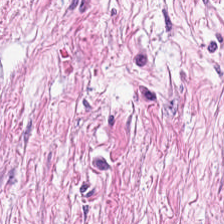Tissue class = tumor stroma.
